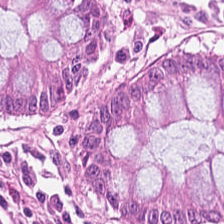Showing benign colonic mucosa.
